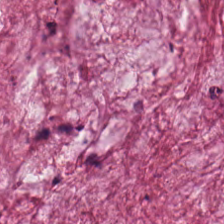Stain: hematoxylin and eosin.
Predominant tissue: extracellular mucin.
